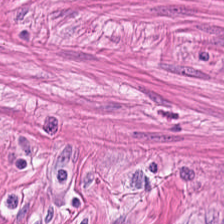H&E-stained tissue section. Whole-slide-image patch. FFPE tissue section. Tissue = smooth-muscle tissue.
